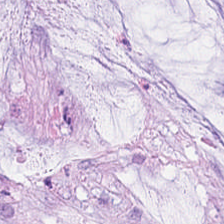Impression — extracellular mucin.
